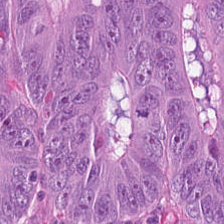Stain: H&E stain.
Tile size: 224×224 pixel tile.
Predominant tissue: colorectal adenocarcinoma epithelium.
